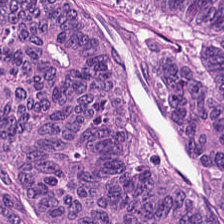Stain: H&E stain.
Predominant tissue: colorectal adenocarcinoma.
